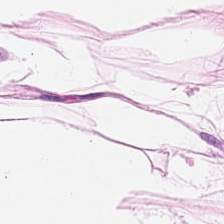0.5 µm per pixel · H&E-stained tissue section · WSI patch.
{"tissue_type": "fat tissue"}
